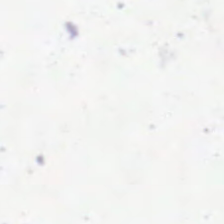H&E-stained tissue section · 0.5 µm/px · 224×224 px tile. No tissue present; background only.
